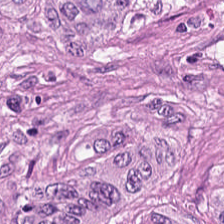224×224 px patch; H&E-stained tissue section — The classification is colorectal adenocarcinoma epithelium.
